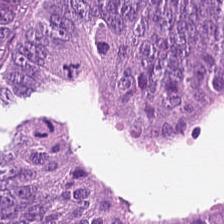The tissue is malignant epithelium.
